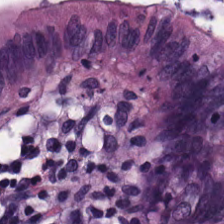Stain: hematoxylin-and-eosin stained section.
Tissue: benign colonic mucosa.
